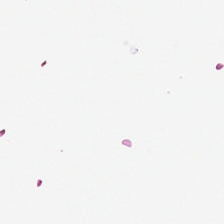Empty background.
